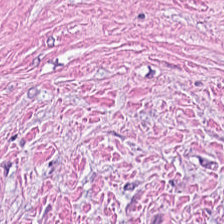0.5 µm per pixel; H&E-stained tissue section — The predominant tissue is tumor stroma.
